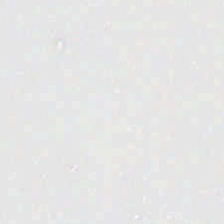Hematoxylin and eosin.
Finding → empty background.
